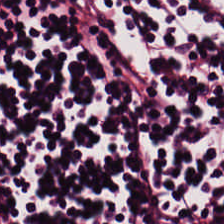H&E stain · whole-slide-image patch — Tissue type = lymphocytic infiltrate.
